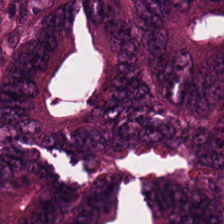Hematoxylin-and-eosin stained section — Q: What type of tissue is this?
A: This is adenocarcinoma.
